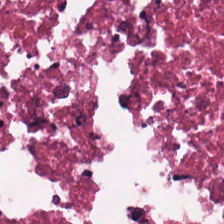H&E stain. Predominantly necrotic debris.
